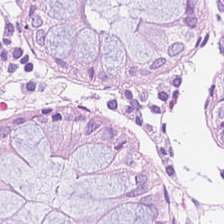Hematoxylin-and-eosin stained section.
Q: What is shown in this field?
A: This is non-neoplastic colon mucosa.
